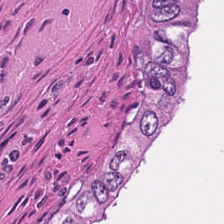224×224 pixel tile. H&E stain. Formalin-fixed paraffin-embedded section. Showing debris.
